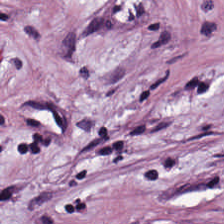H&E; 0.5 microns per pixel.
Finding → tumor-associated stroma.
